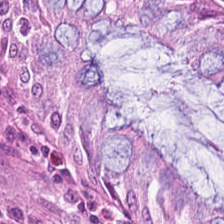Q: Classify this patch.
A: This is normal colonic mucosa.
